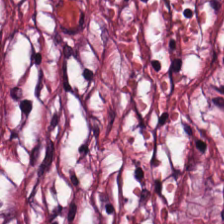Predominant tissue: tumor-associated stroma.
